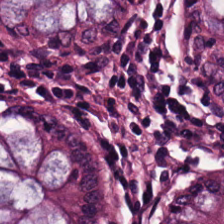H&E stain. Tissue class: non-neoplastic colon mucosa.
